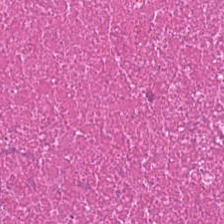Q: What tissue type is shown here?
A: This is debris.
